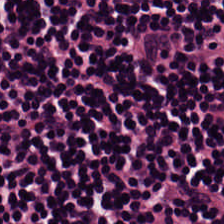Hematoxylin and eosin — {"tissue_type": "lymphoid infiltrate"}
